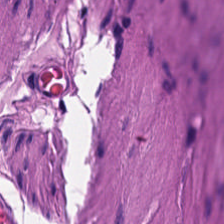Hematoxylin-and-eosin stained section · 20× equivalent magnification · 224×224 px tile — This patch shows smooth muscle.
